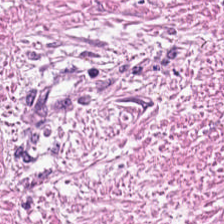Stain: H&E-stained tissue section.
Tissue type: cancer-associated stroma.
